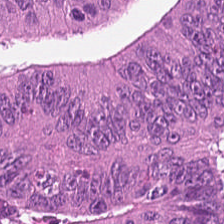Hematoxylin-and-eosin stained section — The classification is colorectal adenocarcinoma.
